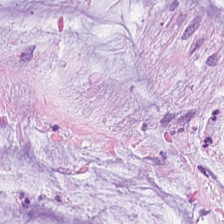Stain: H&E.
Classification: mucin.
